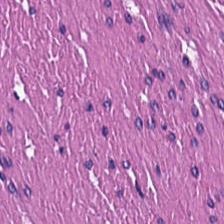Hematoxylin-and-eosin stained section.
Q: What tissue type is shown here?
A: The field shows muscularis.
